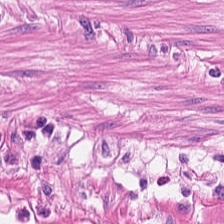Tissue type — smooth-muscle tissue.
